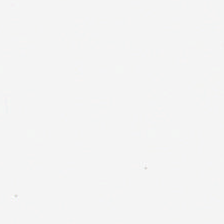Content: empty background.
